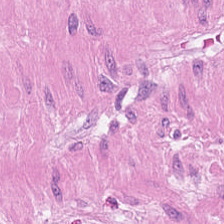H&E-stained tissue section — This patch shows smooth-muscle tissue.
